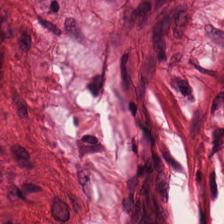Hematoxylin and eosin. Tissue type — smooth muscle.
